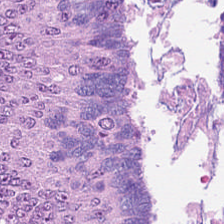0.5 µm per pixel · hematoxylin-and-eosin stained section · 224×224 pixel tile.
The tissue here is colorectal adenocarcinoma.
